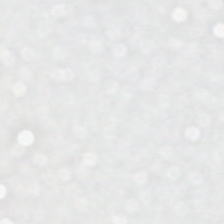Brightfield microscopy. Hematoxylin-and-eosin stained section. Formalin-fixed paraffin-embedded section.
Field content — empty background.
